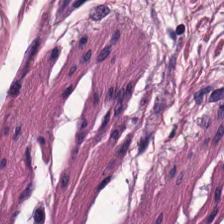Whole-slide-image patch; 0.5 µm/px; H&E-stained tissue section — Smooth muscle.
